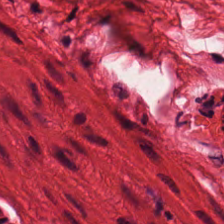Hematoxylin-and-eosin stained section — Q: What does this patch show?
A: The field shows smooth-muscle tissue.
